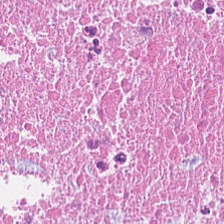Stain: H&E stain.
Preparation: FFPE tissue section.
Tissue type: necrotic debris.
